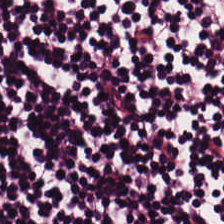Formalin-fixed paraffin-embedded section · hematoxylin-and-eosin stained section.
The predominant tissue is lymphocytic infiltrate.
